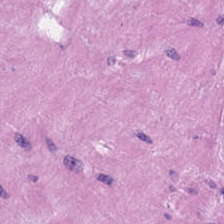H&E stain; formalin-fixed paraffin-embedded section. The predominant tissue is muscularis.
